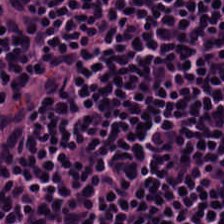Stain: H&E stain.
Preparation: FFPE tissue section.
Tissue class: lymphocytic infiltrate.
